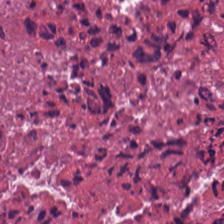Formalin-fixed paraffin-embedded section; H&E; 224×224 px patch.
{"tissue_type": "cellular debris"}
